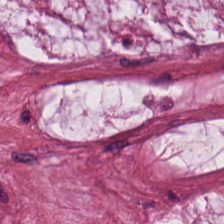Finding — mucus.
